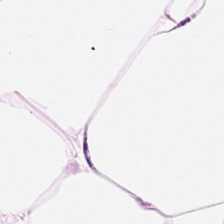FFPE · H&E. This field is adipocytes.
